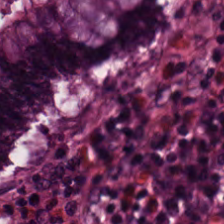The tissue here is normal colonic mucosa.
